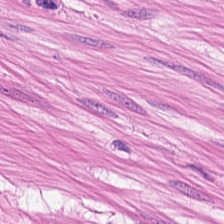Hematoxylin and eosin — The tissue here is muscularis.
